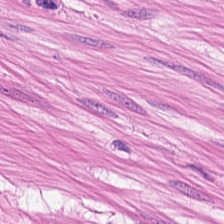Hematoxylin and eosin — The tissue here is muscularis.
